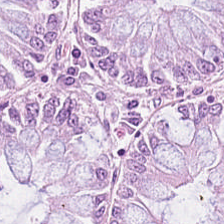Hematoxylin-and-eosin stained section — Predominantly benign colonic mucosa.
